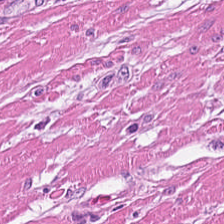H&E · 224×224 px tile.
Classification: muscularis.
